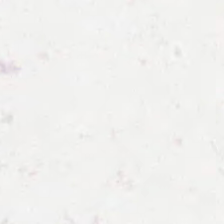Content — background (no tissue).
